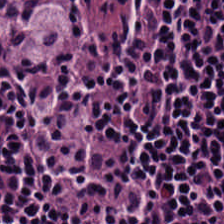Hematoxylin and eosin. Q: Classify this patch.
A: Lymphocyte aggregate.
